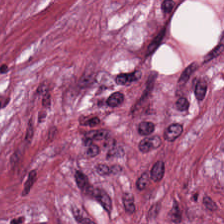Hematoxylin-and-eosin stained section. Tissue class — cancer-associated stroma.
